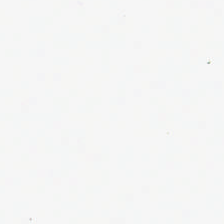Stain: H&E stain.
Classification: background (no tissue).
